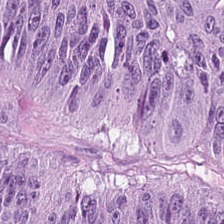The predominant tissue is tumor epithelium.
